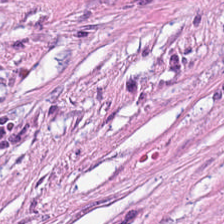H&E stain.
Q: Classify this patch.
A: This is tumor-associated stroma.
